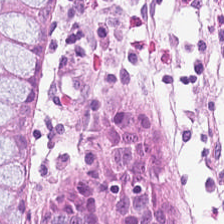Impression — normal colon mucosa.
